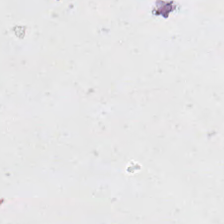Hematoxylin and eosin. Content: background (no tissue).
